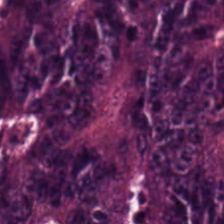Stain: H&E stain.
Tissue class: colorectal adenocarcinoma.
